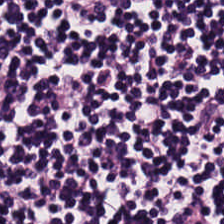Impression → lymphocytes.
